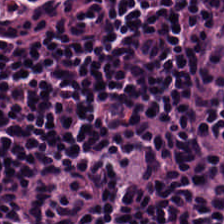This field is lymphocytic infiltrate.
